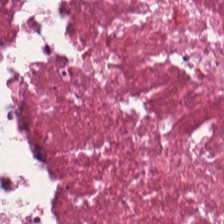Hematoxylin and eosin. Debris.
